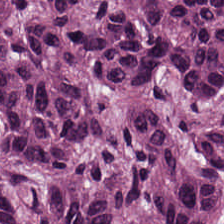Q: What does this patch show?
A: It is tumor epithelium.
